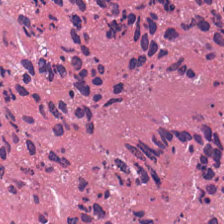Hematoxylin-and-eosin section: debris.
